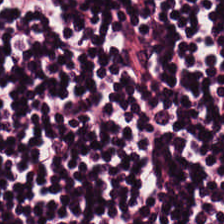H&E-stained tissue section.
Q: What tissue type is shown here?
A: The field shows lymphocytes.
